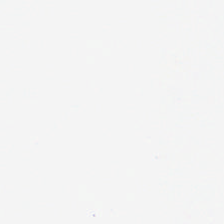H&E stain. Q: Classify this patch.
A: It is background.
